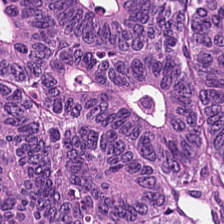Hematoxylin and eosin · formalin-fixed paraffin-embedded section. This patch shows colorectal adenocarcinoma epithelium.
